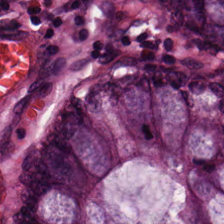Brightfield. FFPE tissue section. H&E-stained tissue section. The tissue here is normal colon mucosa.
